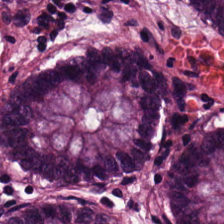Predominant tissue — benign colonic mucosa.
